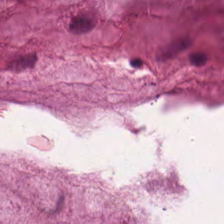H&E-stained tissue section — Histology — mucus.
